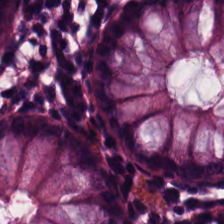Hematoxylin-and-eosin stained section.
Q: What tissue type is shown here?
A: It is non-neoplastic colon mucosa.
